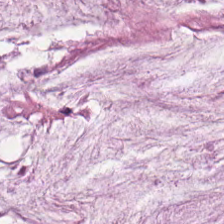Finding → mucus.
